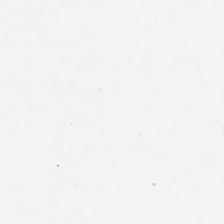H&E-stained tissue section. 224×224 pixel tile. 0.5 µm per pixel — Background — no tissue in this field.
